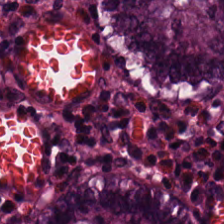FFPE tissue section; H&E stain.
Q: What does this patch show?
A: The field shows normal colonic mucosa.
